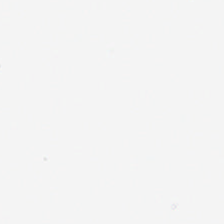Histology → empty background.
